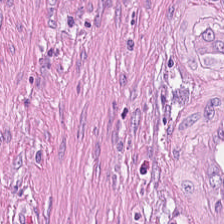H&E stain — The predominant tissue is desmoplastic stroma.
